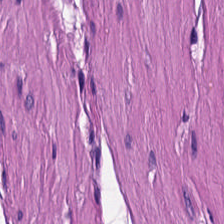{"tissue_type": "smooth muscle"}
